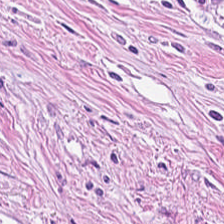224×224 px patch; H&E-stained tissue section — Q: What is shown here?
A: It is tumor-associated stroma.
